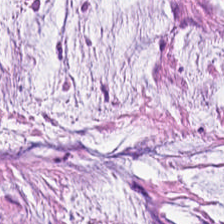H&E stain · formalin-fixed paraffin-embedded section.
The tissue here is mucin.
